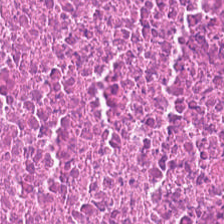The tissue here is cellular debris.
